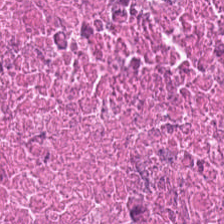Formalin-fixed paraffin-embedded section; brightfield; hematoxylin and eosin — This field is necrotic debris.
